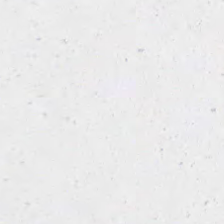0.5 microns per pixel. H&E — Q: What is shown in this field?
A: Empty background.
